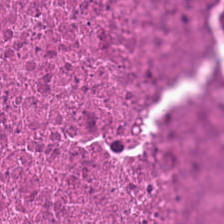Hematoxylin and eosin. Tissue — debris.
